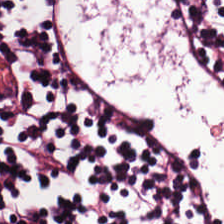H&E. Tissue = lymphocytes.
